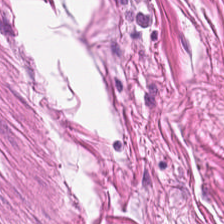Hematoxylin and eosin — This field is muscularis.
